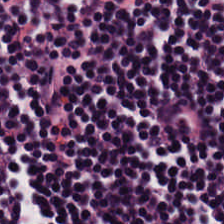Q: What tissue type is shown here?
A: It is lymphocytes.
